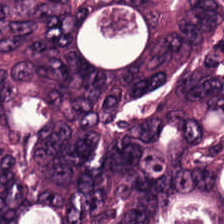Impression → colorectal adenocarcinoma epithelium.
